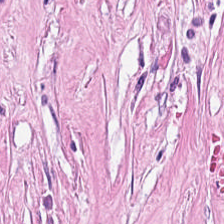WSI patch. Hematoxylin-and-eosin stained section. FFPE tissue section. Classification = desmoplastic stroma.
